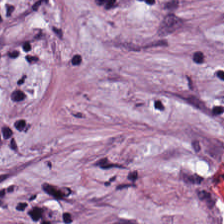H&E stain. Q: What type of tissue is this?
A: It is desmoplastic stroma.
